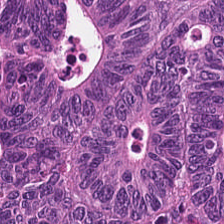WSI patch · H&E stain. Tissue class = malignant epithelium.
